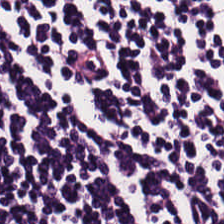H&E-stained tissue section; brightfield microscopy. {"tissue_type": "lymphocyte aggregate"}
